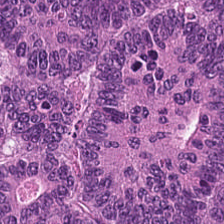224×224 px tile. Hematoxylin and eosin. Predominant tissue = adenocarcinoma.
